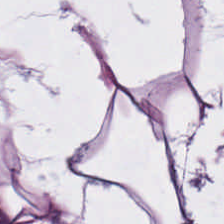Stain: hematoxylin and eosin.
Preparation: FFPE tissue section.
Predominant tissue: adipocytes.
